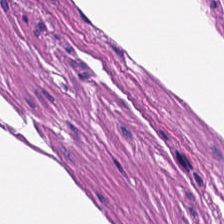H&E-stained tissue section showing smooth muscle.
